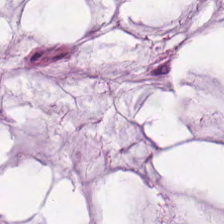H&E-stained tissue section; WSI patch. Tissue type: mucin.
